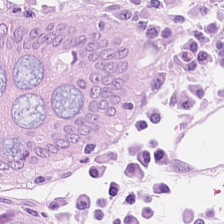Brightfield microscopy; H&E-stained tissue section — Predominant tissue: non-neoplastic colon mucosa.
